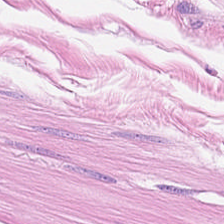H&E — smooth-muscle tissue.
